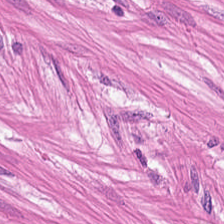H&E-stained tissue section — Q: What is shown here?
A: Smooth-muscle tissue.
